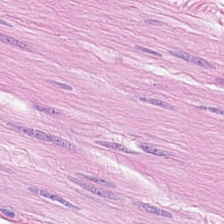Hematoxylin and eosin — Tissue class = smooth muscle.
